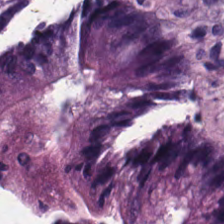H&E. Whole-slide-image patch — Predominantly normal colon mucosa.
